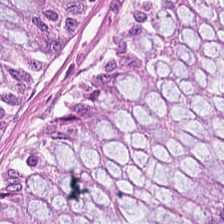{"tissue_type": "benign colonic mucosa"}
